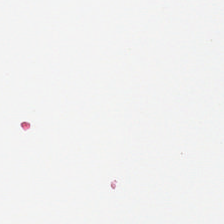FFPE · hematoxylin and eosin.
Content = background.
